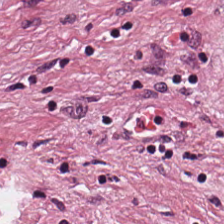H&E stain · WSI patch. This field is tumor-associated stroma.
